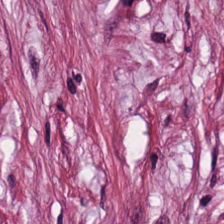Q: What tissue type is shown here?
A: Tumor stroma.
